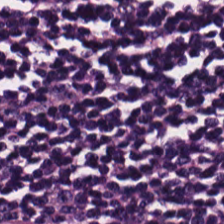Tissue type: lymphoid infiltrate.
